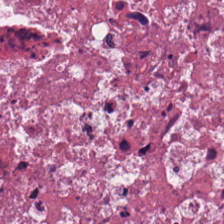H&E — Cellular debris.
